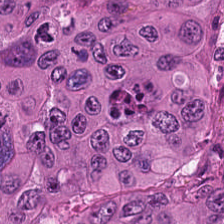H&E-stained tissue section. The tissue class is colorectal adenocarcinoma.
